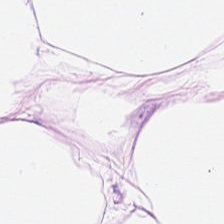Whole-slide-image patch · 0.5 µm/px · H&E stain.
This patch shows fat tissue.
